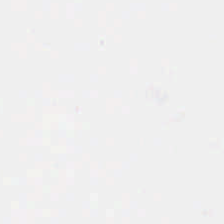Brightfield microscopy · formalin-fixed paraffin-embedded section · H&E stain. Field content: no tissue.
